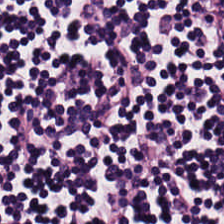WSI patch · H&E.
Showing lymphocyte aggregate.
